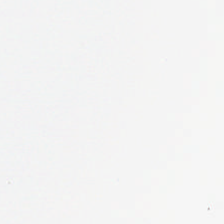Empty background.
